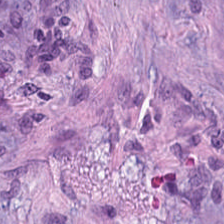Formalin-fixed paraffin-embedded section · H&E-stained tissue section.
Q: What is shown here?
A: The field shows cancer-associated stroma.
